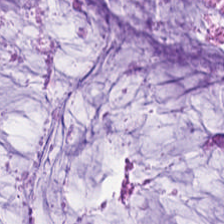The predominant tissue is mucus.
